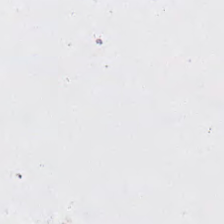Q: What does this patch show?
A: This is empty background.
